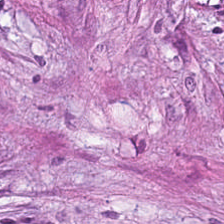WSI patch. H&E. 0.5 µm per pixel — This patch shows cancer-associated stroma.
